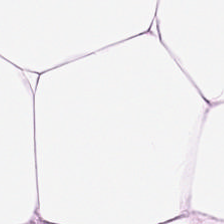224×224 px tile · FFPE · H&E. Tissue class: adipose tissue.
